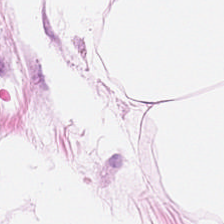Hematoxylin-and-eosin section: adipose tissue.
